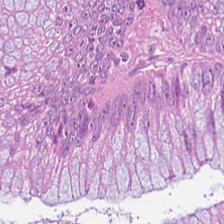Brightfield microscopy. 224×224 px patch. Hematoxylin-and-eosin stained section — This patch shows colorectal adenocarcinoma epithelium.
